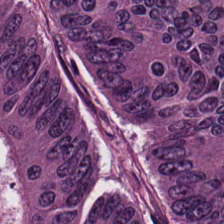Stain: hematoxylin and eosin.
Classification: malignant epithelium.
